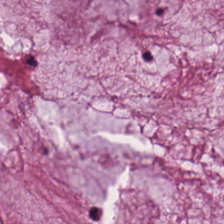Hematoxylin-and-eosin stained section — Classification: extracellular mucin.
